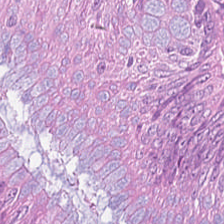FFPE; H&E — Tissue class = malignant epithelium.
